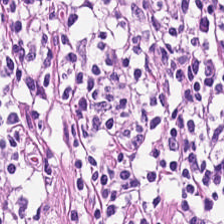Stain: H&E stain.
Acquisition: WSI patch.
Tissue type: lymphocytic infiltrate.
